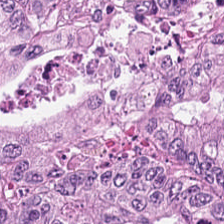Tissue: colorectal adenocarcinoma.
